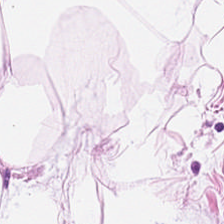Hematoxylin-and-eosin stained section; brightfield microscopy — Classification: adipose.
